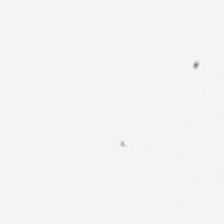Stain: H&E stain.
Content: empty background.
